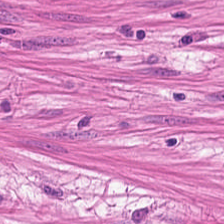H&E — Predominantly muscularis.
